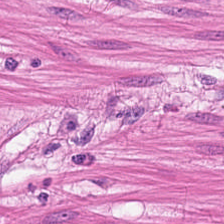Hematoxylin-and-eosin stained section — Tissue type = muscularis.
